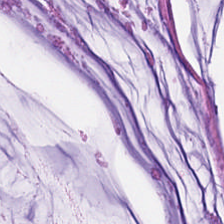Stain: H&E-stained tissue section.
Tissue class: extracellular mucin.
